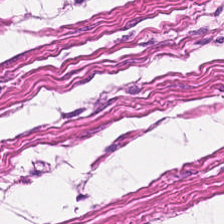H&E — This field is smooth muscle.
